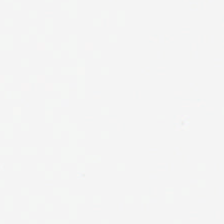H&E stain. Whole-slide-image patch.
The classification is empty background.
